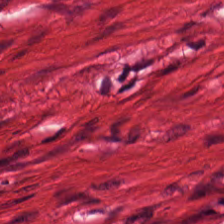Q: What does this patch show?
A: Muscularis.
